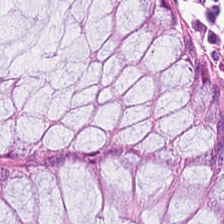224×224 pixel tile. H&E stain.
The tissue type is normal colonic mucosa.
